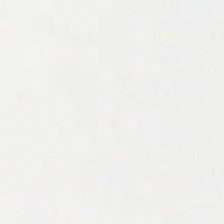H&E stain — No tissue present; background only.
